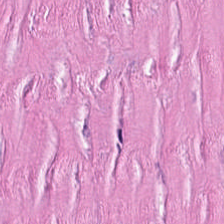The predominant tissue is desmoplastic stroma.
